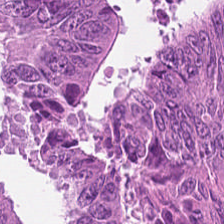Finding — adenocarcinoma.
